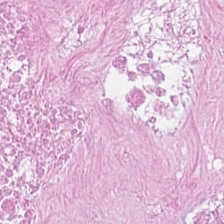Debris.
